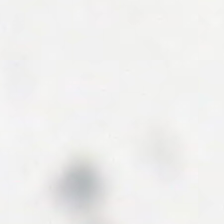H&E-stained tissue section · FFPE tissue section — Q: What is shown here?
A: No tissue.
